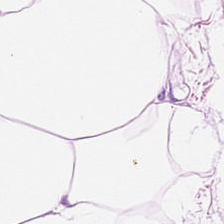Hematoxylin and eosin — This patch shows adipocytes.
